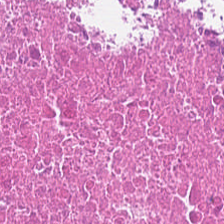224×224 px tile. Hematoxylin and eosin.
Classification — debris.
